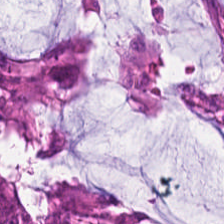Histology → tumor epithelium.
